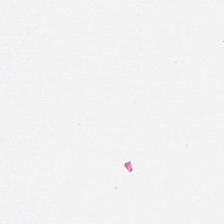Classification — empty background.
